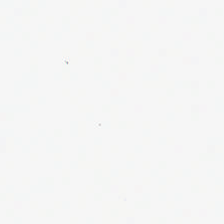Hematoxylin-and-eosin stained section.
Impression — empty background.
